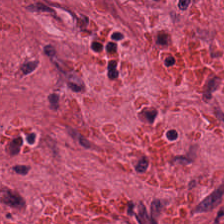Predominant tissue = desmoplastic stroma.
